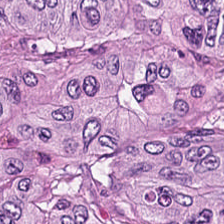Hematoxylin and eosin. This field is colorectal adenocarcinoma.
